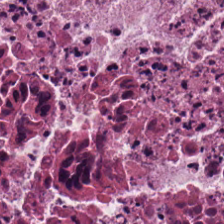Finding — debris.
